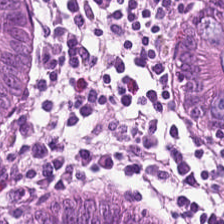The tissue is benign colonic mucosa.
